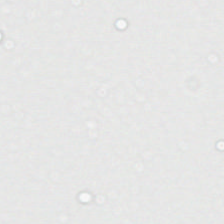Stain: hematoxylin and eosin.
Preparation: FFPE.
Tile size: 224×224 px tile.
Content: background (no tissue).
